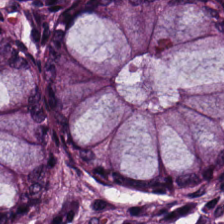Stain: hematoxylin and eosin.
Tissue type: non-neoplastic colon mucosa.
